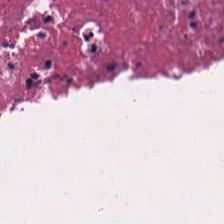0.5 µm/px. H&E-stained tissue section. Brightfield. Showing necrotic debris.
